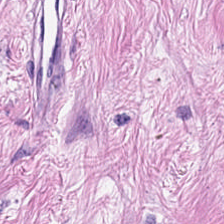Hematoxylin-and-eosin stained section · brightfield microscopy · formalin-fixed paraffin-embedded section — Q: What type of tissue is this?
A: It is desmoplastic stroma.
